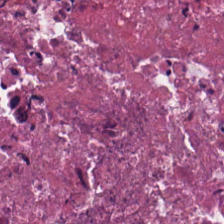H&E · 0.5 microns per pixel · brightfield microscopy — Tissue = cellular debris.
